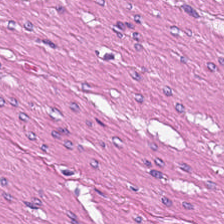H&E — muscularis.
